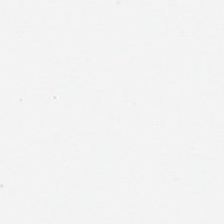H&E · 20× equivalent magnification. Q: What is shown in this field?
A: It is background (no tissue).
